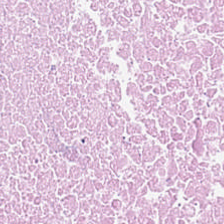Formalin-fixed paraffin-embedded section · hematoxylin and eosin. The predominant tissue is cellular debris.
